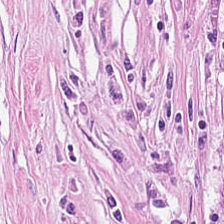Predominant tissue — tumor stroma.
